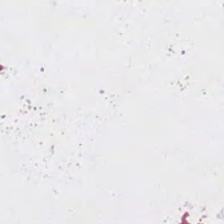Hematoxylin-and-eosin stained section.
Q: What does this patch show?
A: This is empty background.
